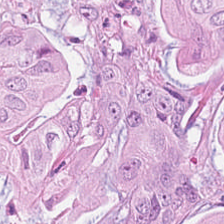Formalin-fixed paraffin-embedded section. Hematoxylin and eosin. Whole-slide-image patch. This patch shows malignant epithelium.
